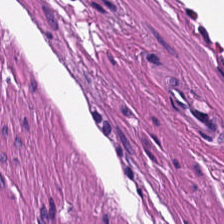Formalin-fixed paraffin-embedded section · H&E stain.
{"tissue_type": "smooth-muscle tissue"}
